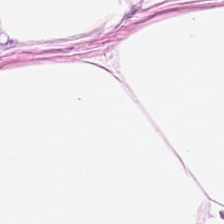224×224 pixel tile. Hematoxylin-and-eosin stained section. This field is adipose.
